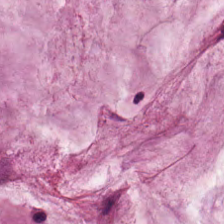Mucin.
